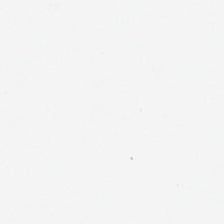H&E stain. 224×224 pixel tile. No tissue.
